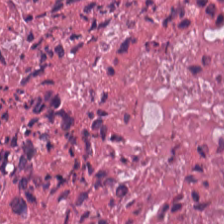Q: What is shown in this field?
A: The field shows necrotic debris.
